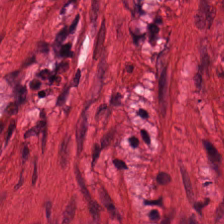Stain: H&E stain.
Predominant tissue: smooth muscle.
